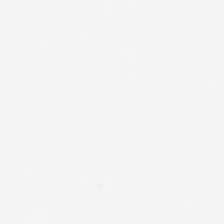Empty field — background.
